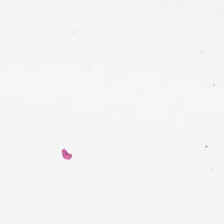Formalin-fixed paraffin-embedded section; H&E-stained tissue section; 20× equivalent magnification — Q: What is shown in this field?
A: Background.
